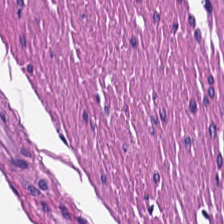FFPE tissue section. H&E.
Q: What is shown here?
A: It is muscularis.
